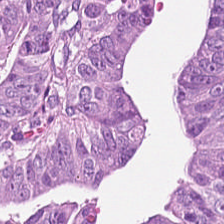Hematoxylin-and-eosin stained section. Tissue type — adenocarcinoma.
